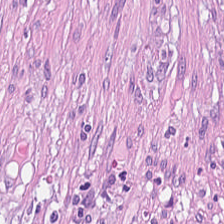Stain: H&E.
Tissue type: tumor stroma.
